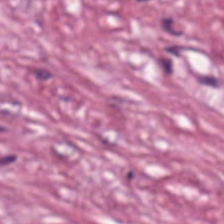H&E-stained tissue section.
Predominant tissue: cancer-associated stroma.
